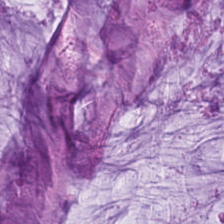Stain: H&E-stained tissue section.
Resolution: 20× equivalent magnification.
Tile size: 224×224 pixel tile.
Predominant tissue: extracellular mucin.
